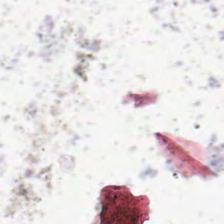H&E-stained tissue section; 0.5 µm/px — This patch shows no tissue.
